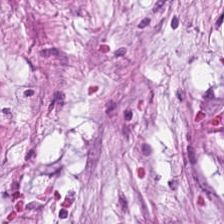Hematoxylin-and-eosin stained section; 0.5 microns per pixel.
Histology — tumor-associated stroma.
